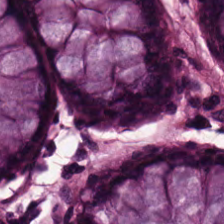0.5 microns per pixel; H&E stain.
Normal colonic mucosa.
